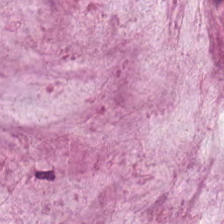H&E. The tissue here is mucus.
